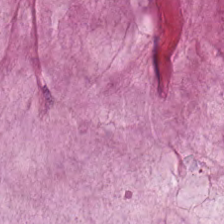This field is mucin.
